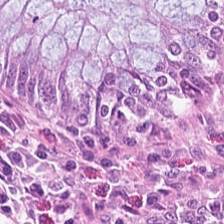Hematoxylin and eosin.
Predominantly normal colonic mucosa.
